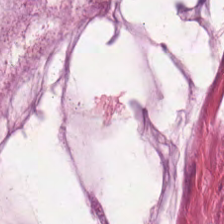WSI patch; hematoxylin-and-eosin stained section — This field is extracellular mucin.
